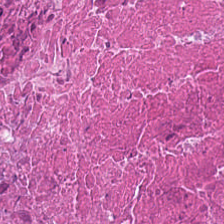H&E.
{"tissue_type": "necrotic debris"}
